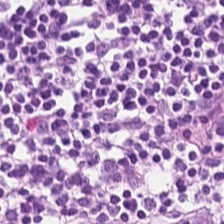Formalin-fixed paraffin-embedded section · hematoxylin and eosin · brightfield microscopy.
This patch shows lymphocyte aggregate.
